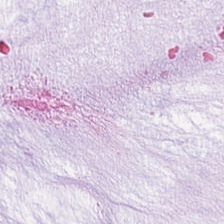H&E · 0.5 microns per pixel.
Mucus.
